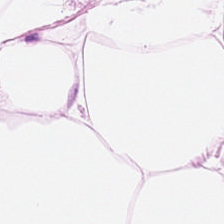Tissue type — fat tissue.
